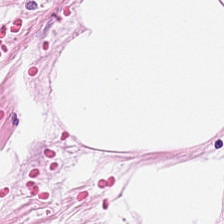{"tissue_type": "adipocytes"}
